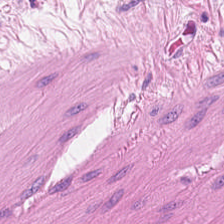Q: What is the predominant tissue type?
A: Smooth-muscle tissue.
